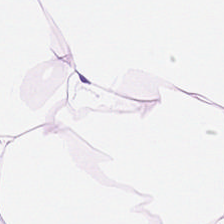Hematoxylin and eosin — This patch shows adipose.
